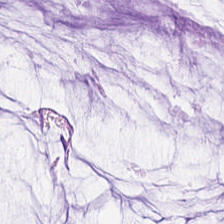Hematoxylin and eosin. This patch shows extracellular mucin.
